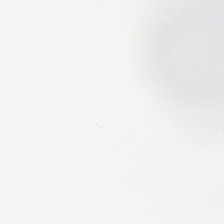H&E stain — Content: no tissue.
